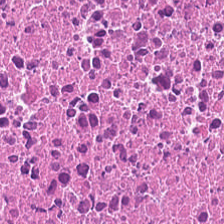H&E · whole-slide-image patch · formalin-fixed paraffin-embedded section — Predominantly necrotic debris.
